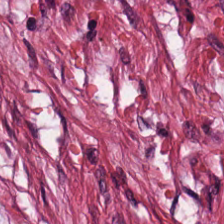Finding — cancer-associated stroma.
